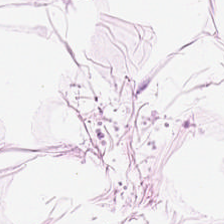Impression → fat tissue.
